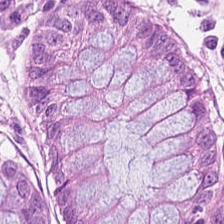0.5 microns per pixel; H&E. The predominant tissue is benign colonic mucosa.
